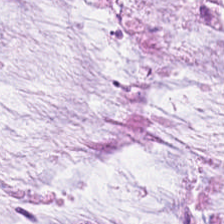Hematoxylin-and-eosin stained section. Histology — mucus.
